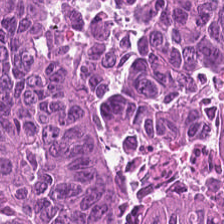H&E — colorectal adenocarcinoma.
